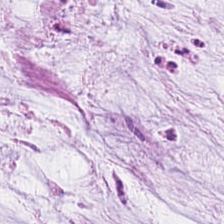{"tissue_type": "mucin"}
